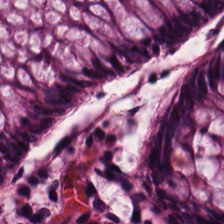Whole-slide-image patch · H&E. Q: What tissue type is shown here?
A: It is normal colonic mucosa.
